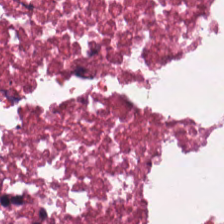Hematoxylin-and-eosin stained section. Tissue type = cellular debris.
